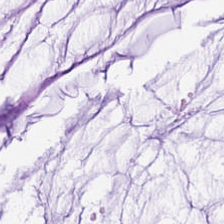Hematoxylin and eosin — Q: What is shown in this field?
A: It is mucin.
